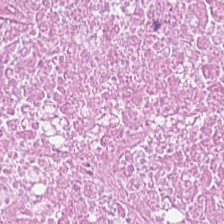This field is cellular debris.
